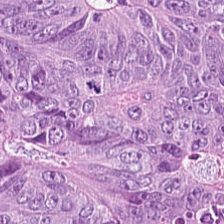Hematoxylin and eosin — The tissue here is colorectal adenocarcinoma.
